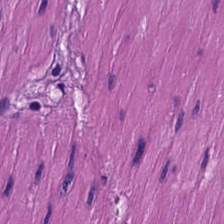0.5 µm/px · H&E. Showing smooth muscle.
